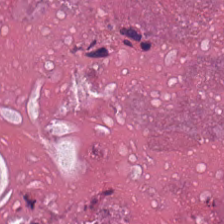Showing necrotic debris.
